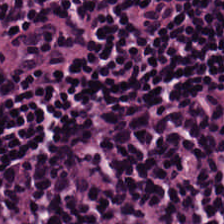Hematoxylin and eosin.
This patch shows lymphoid infiltrate.
